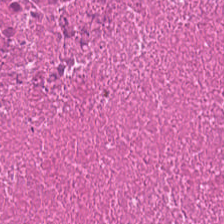H&E — cellular debris.
